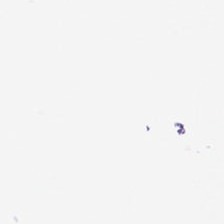Formalin-fixed paraffin-embedded section. H&E stain. 0.5 µm per pixel.
Q: What is shown in this field?
A: It is background (no tissue).
